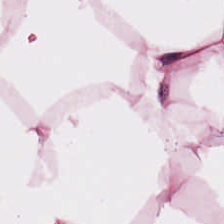0.5 µm/px. H&E-stained tissue section. This patch shows fat tissue.
